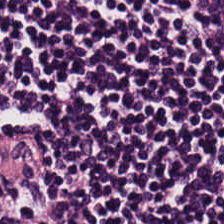Predominant tissue = lymphocytic infiltrate.
